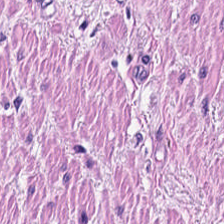Hematoxylin and eosin. WSI patch — Histology — muscularis.
